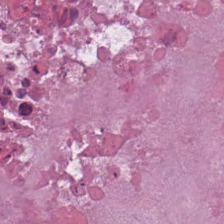H&E stain. {"tissue_type": "debris"}
